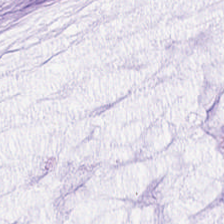Whole-slide-image patch. 224×224 pixel tile. H&E stain. This field is extracellular mucin.
